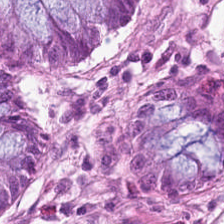H&E stain.
Tissue type = benign colonic mucosa.
